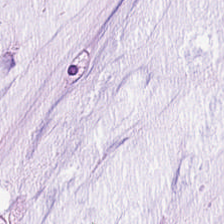Formalin-fixed paraffin-embedded section; H&E-stained tissue section; 20× equivalent magnification.
Classification: extracellular mucin.
